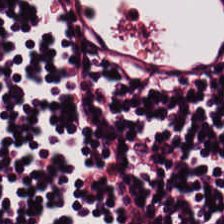H&E stain — Q: What type of tissue is this?
A: Lymphocyte aggregate.
